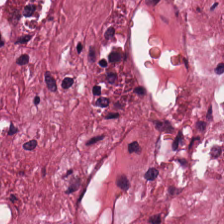H&E.
The tissue here is desmoplastic stroma.
